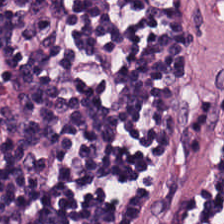H&E.
Predominantly lymphoid infiltrate.
